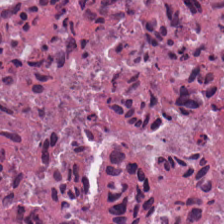H&E stain.
Q: What type of tissue is this?
A: Necrotic debris.
